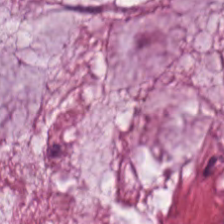H&E-stained tissue section. 0.5 microns per pixel. Whole-slide-image patch — {"tissue_type": "mucin"}
